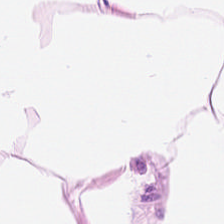Predominant tissue = fat tissue.
